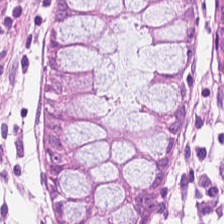H&E-stained tissue section. 0.5 µm/px — Predominant tissue: benign colonic mucosa.
